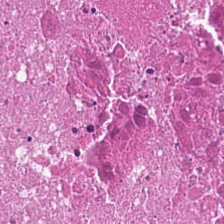H&E stain · 224×224 pixel tile · formalin-fixed paraffin-embedded section — Cellular debris.
